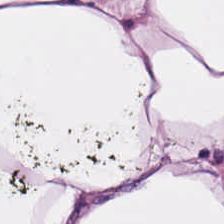H&E stain. 0.5 microns per pixel. {"tissue_type": "fat tissue"}
